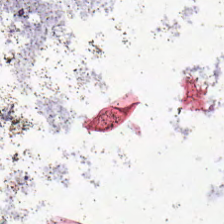Stain: H&E stain.
Classification: no tissue.
